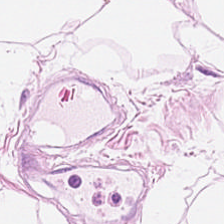Hematoxylin-and-eosin stained section. Brightfield.
The tissue type is fat tissue.
